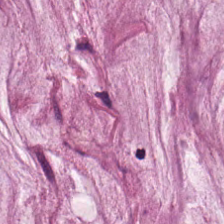Brightfield; H&E-stained tissue section.
The tissue here is extracellular mucin.
